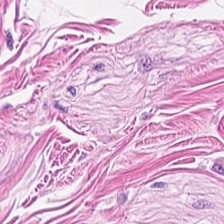Hematoxylin-and-eosin stained section.
Showing smooth muscle.
